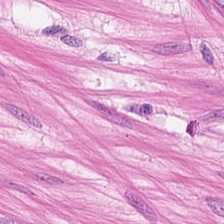Hematoxylin and eosin. Predominant tissue: smooth muscle.
